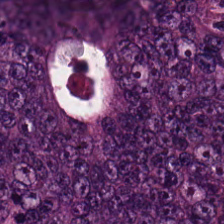Tissue class — malignant epithelium.
